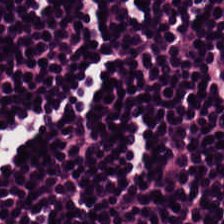H&E-stained tissue section.
The tissue type is lymphoid infiltrate.
